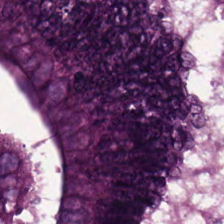20× equivalent magnification. 224×224 px tile. H&E stain — Q: What is shown in this field?
A: The field shows colorectal adenocarcinoma.
